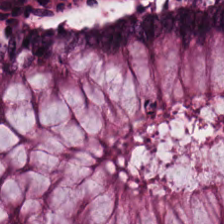H&E — normal colon mucosa.
